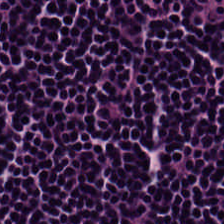The predominant tissue is lymphocytes.
